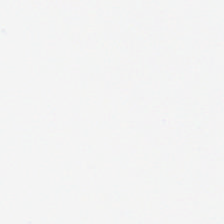224×224 px tile. H&E. 0.5 microns per pixel — Content = no tissue.
